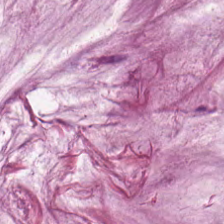Hematoxylin-and-eosin stained section. Whole-slide-image patch.
Predominantly mucus.
